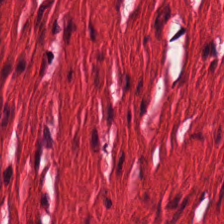Stain: hematoxylin-and-eosin stained section.
Tile size: 224×224 pixel tile.
Classification: smooth muscle.
